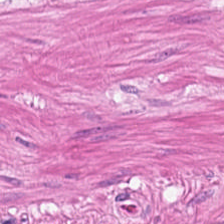Tissue class — smooth-muscle tissue.
